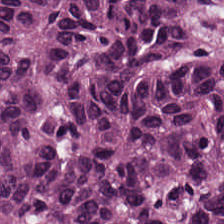H&E · FFPE tissue section · whole-slide-image patch — {"tissue_type": "colorectal adenocarcinoma epithelium"}
